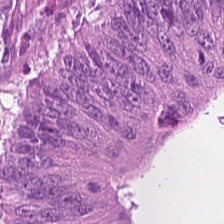Brightfield; hematoxylin-and-eosin stained section; 20× equivalent magnification.
Predominantly malignant epithelium.
